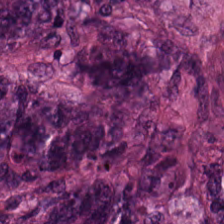224×224 px patch · hematoxylin and eosin.
Tissue = adenocarcinoma.
